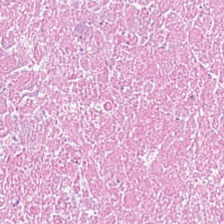Impression — debris.
